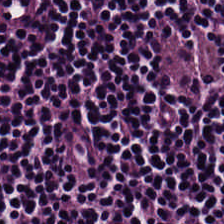H&E-stained tissue section — Tissue: lymphoid infiltrate.
